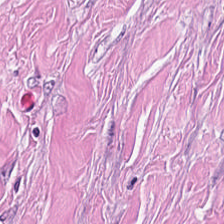Brightfield · hematoxylin-and-eosin stained section · 224×224 pixel tile — Impression → cancer-associated stroma.
